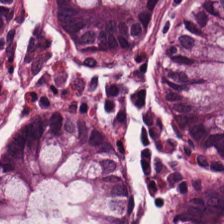20× equivalent magnification. Formalin-fixed paraffin-embedded section. H&E. {"tissue_type": "non-neoplastic colon mucosa"}
